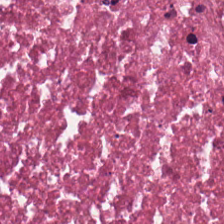224×224 pixel tile. Hematoxylin-and-eosin stained section. Q: What is the predominant tissue type?
A: This is cellular debris.
